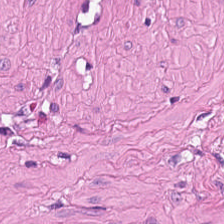H&E-stained tissue section · 0.5 µm/px. Q: What tissue is shown?
A: The field shows smooth muscle.
